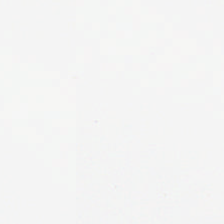H&E-stained tissue section. Formalin-fixed paraffin-embedded section. Impression → no tissue.
